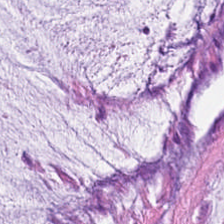Hematoxylin-and-eosin stained section. Q: What tissue is shown?
A: It is mucus.
